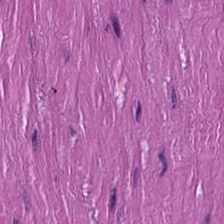H&E-stained tissue section — Smooth muscle.
